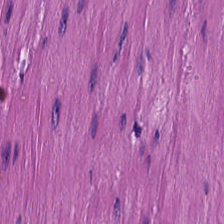H&E-stained tissue section — Classification = smooth muscle.
